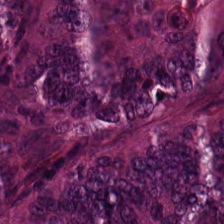H&E.
Q: What does this patch show?
A: It is colorectal adenocarcinoma epithelium.
